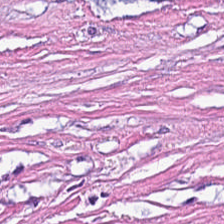This patch shows cancer-associated stroma.
